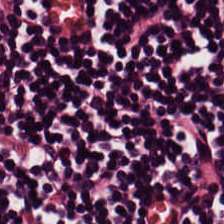Finding → lymphoid infiltrate.
